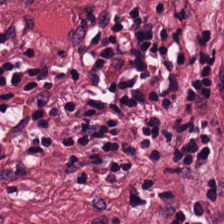Stain: H&E.
Tissue class: cancer-associated stroma.
